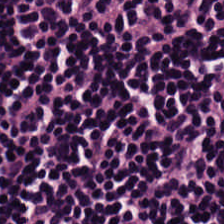Stain: hematoxylin and eosin.
Classification: lymphocytic infiltrate.
